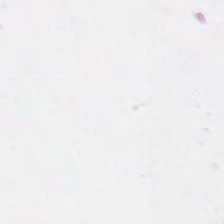Classification = empty background.
